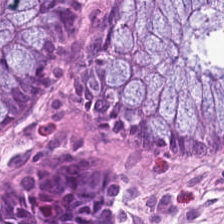Stain: hematoxylin and eosin.
Tissue: normal colon mucosa.
